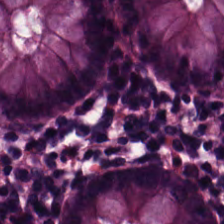Hematoxylin-and-eosin stained section. Tissue class — non-neoplastic colon mucosa.
